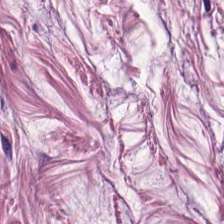H&E-stained section; the field shows muscularis.
